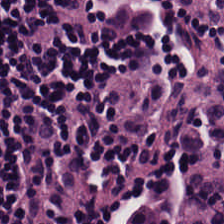Q: What type of tissue is this?
A: This is lymphocytic infiltrate.
